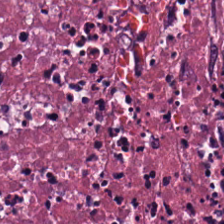H&E-stained tissue section.
The predominant tissue is debris.
